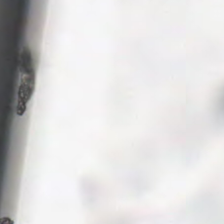H&E; 224×224 px patch — This field is background (no tissue).
